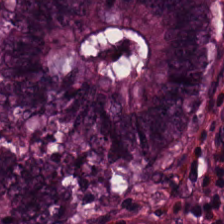Stain: H&E-stained tissue section.
Tile size: 224×224 pixel tile.
Classification: non-neoplastic colon mucosa.
